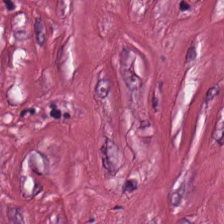Classification — cancer-associated stroma.
